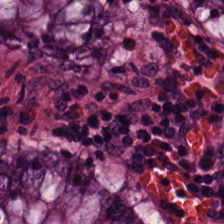Hematoxylin-and-eosin stained section.
Predominantly non-neoplastic colon mucosa.
